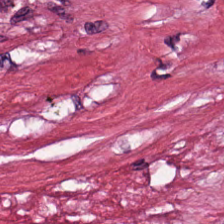Desmoplastic stroma.
